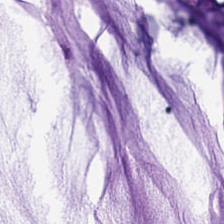Q: Identify the tissue.
A: Mucus.
